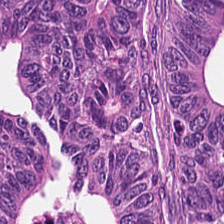Hematoxylin-and-eosin stained section — Q: What type of tissue is this?
A: The field shows malignant epithelium.
